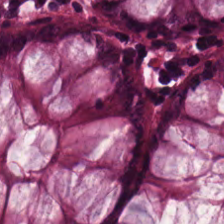The classification is normal colonic mucosa.
